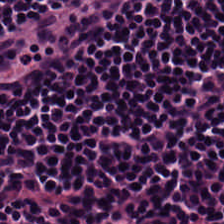Hematoxylin and eosin · 224×224 px tile · brightfield.
{"tissue_type": "lymphocyte aggregate"}
